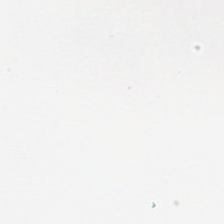H&E-stained tissue section. Q: What is shown in this field?
A: The field shows no tissue.
